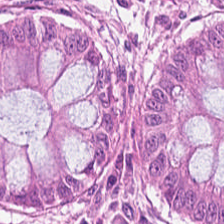Q: What tissue is shown?
A: It is normal colonic mucosa.
